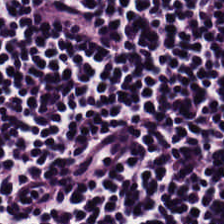224×224 px tile · H&E-stained tissue section — Lymphocytes.
